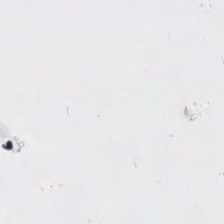Hematoxylin and eosin. Brightfield. 0.5 µm/px. Content: background.
